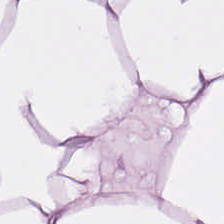Hematoxylin and eosin. Q: What is shown here?
A: The field shows adipose.
